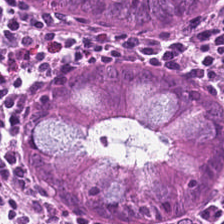H&E stain.
Q: Classify this patch.
A: The field shows normal colon mucosa.
